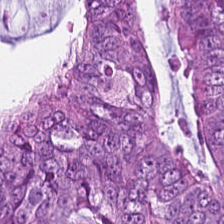H&E stain.
This patch shows malignant epithelium.
